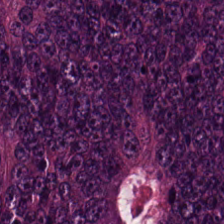H&E stain.
Q: What is shown here?
A: Malignant epithelium.
